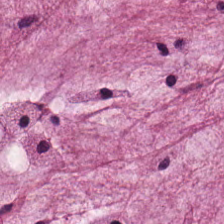H&E · 224×224 px tile.
Predominantly extracellular mucin.
